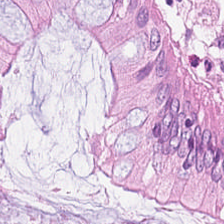H&E stain — Finding → non-neoplastic colon mucosa.
